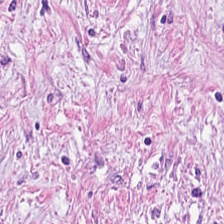Hematoxylin-and-eosin stained section · formalin-fixed paraffin-embedded section. Q: What tissue is shown?
A: This is cancer-associated stroma.
